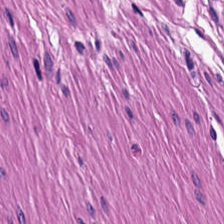Q: What is shown here?
A: It is smooth-muscle tissue.
